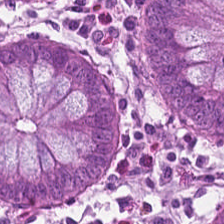The classification is normal colon mucosa.
